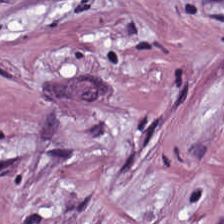Whole-slide-image patch. Hematoxylin-and-eosin stained section. 224×224 px tile. Desmoplastic stroma.
